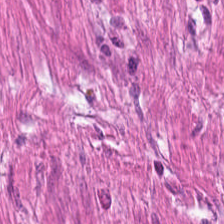Predominantly muscularis.
